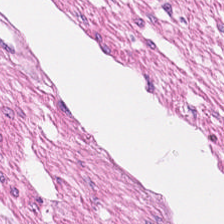Q: What is the predominant tissue type?
A: The field shows smooth muscle.
